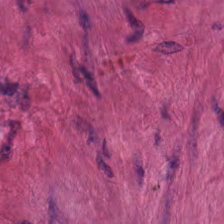H&E. Predominant tissue — smooth muscle.
